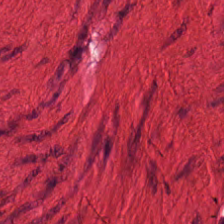Q: Identify the tissue.
A: The field shows smooth-muscle tissue.
